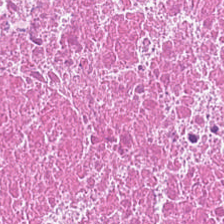Hematoxylin-and-eosin stained section — {"tissue_type": "necrotic debris"}
